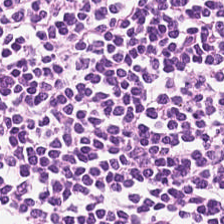224×224 px tile · H&E-stained tissue section. Finding — lymphocytes.
